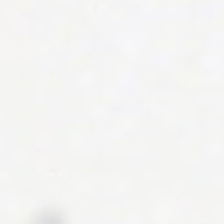Stain: H&E stain.
Tile size: 224×224 px tile.
Acquisition: brightfield microscopy.
Field content: background (no tissue).
